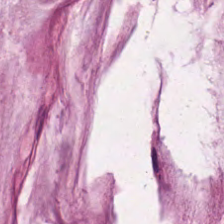H&E-stained tissue section.
Q: What type of tissue is this?
A: The field shows extracellular mucin.
